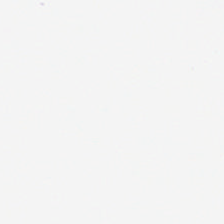H&E stain; 0.5 µm per pixel.
This field is background (no tissue).
